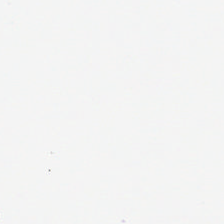H&E stain. This field is background (no tissue).
